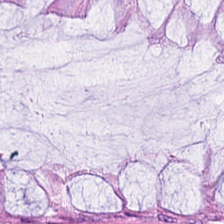Whole-slide-image patch · 224×224 px tile · H&E stain.
This field is benign colonic mucosa.
